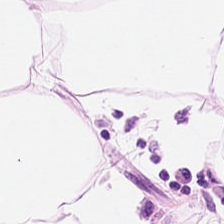Hematoxylin-and-eosin stained section. Q: Identify the tissue.
A: Adipocytes.
